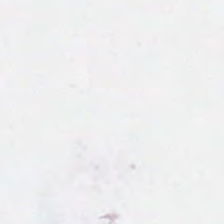Stain: hematoxylin-and-eosin stained section.
Acquisition: brightfield.
Preparation: FFPE.
Field content: background (no tissue).
